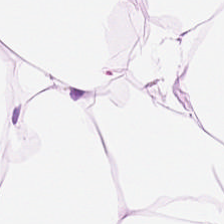H&E-stained tissue section; 224×224 px patch.
Tissue type = fat tissue.
